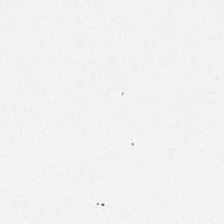224×224 px patch · hematoxylin and eosin.
Q: What does this patch show?
A: It is background (no tissue).
